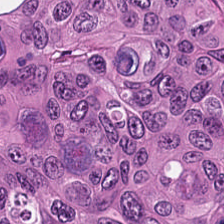Q: Identify the tissue.
A: This is malignant epithelium.
